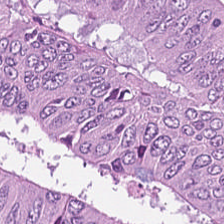The predominant tissue is tumor epithelium.
